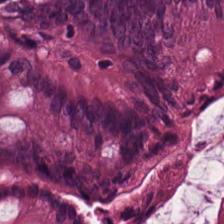224×224 px tile; hematoxylin-and-eosin stained section. Tissue type — benign colonic mucosa.
